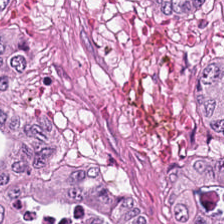H&E stain — The tissue is colorectal adenocarcinoma epithelium.
